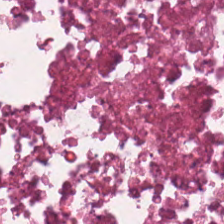H&E.
Tissue class — debris.
